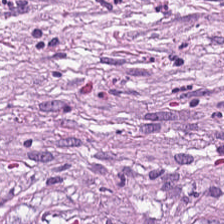Hematoxylin and eosin · whole-slide-image patch.
The tissue type is tumor-associated stroma.
